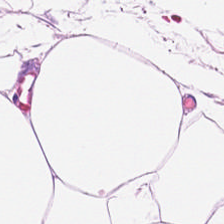224×224 px patch; hematoxylin and eosin.
Impression → adipose.
